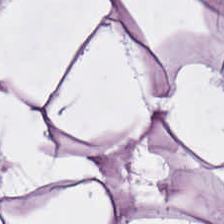0.5 microns per pixel. H&E.
The classification is adipose.
